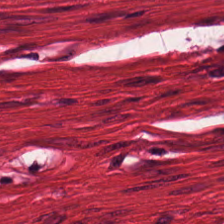H&E — {"tissue_type": "smooth-muscle tissue"}
